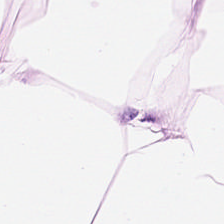Hematoxylin-and-eosin stained section. Adipose.
